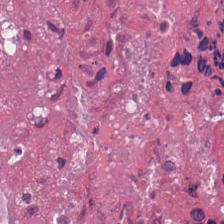H&E.
Cellular debris.
